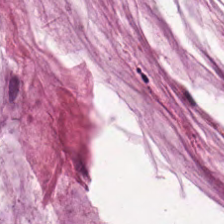0.5 µm per pixel · 224×224 px patch · H&E stain. Extracellular mucin.
